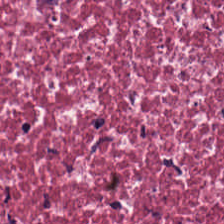Hematoxylin and eosin · brightfield microscopy — The tissue here is tumor stroma.
